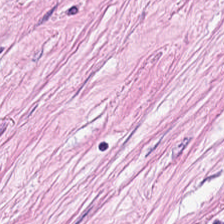This field is desmoplastic stroma.
